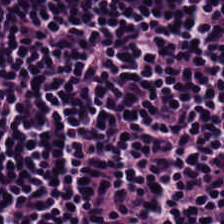H&E-stained tissue section. 224×224 px patch — Tissue type = lymphocytes.
